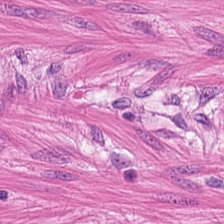H&E stain. The predominant tissue is smooth-muscle tissue.
